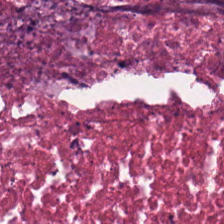WSI patch. Hematoxylin-and-eosin stained section.
Predominantly debris.
